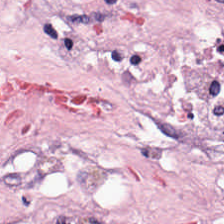Stain: hematoxylin and eosin.
Tissue type: tumor-associated stroma.
